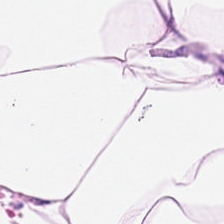Brightfield microscopy · H&E. Showing adipose.
